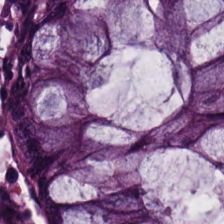H&E stain; 224×224 px tile.
{"tissue_type": "benign colonic mucosa"}
